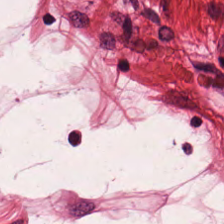Hematoxylin-and-eosin stained section — Q: What type of tissue is this?
A: The field shows smooth muscle.
